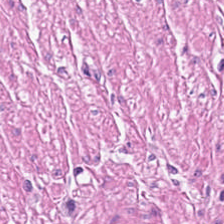Hematoxylin and eosin.
The tissue class is smooth muscle.
